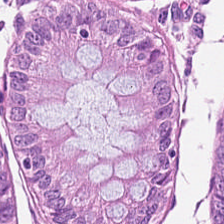H&E-stained tissue section. Predominantly normal colon mucosa.
